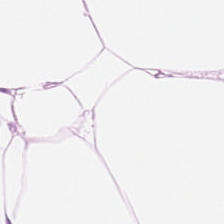H&E stain · 0.5 µm/px — Q: Identify the tissue.
A: It is adipose.
